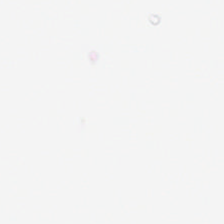Hematoxylin-and-eosin stained section. Finding — background (no tissue).
